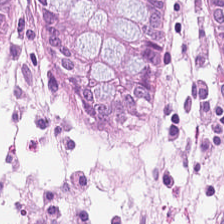H&E stain — Benign colonic mucosa.
